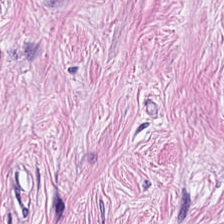FFPE tissue section · brightfield microscopy · hematoxylin-and-eosin stained section. Finding — cancer-associated stroma.
